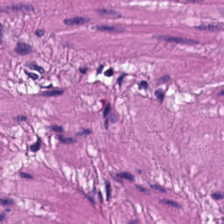Hematoxylin-and-eosin section: muscularis.
